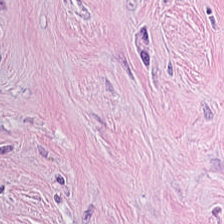Stain: hematoxylin and eosin.
Tissue type: tumor-associated stroma.
